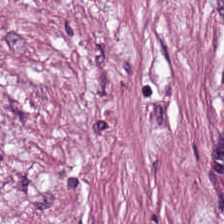H&E stain.
Classification = cancer-associated stroma.
